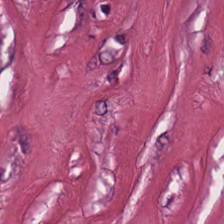Stain: H&E.
Preparation: FFPE.
Predominant tissue: cancer-associated stroma.
